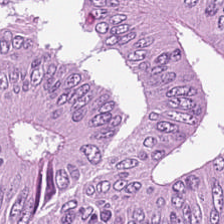H&E-stained tissue section; 224×224 px patch — Predominantly malignant epithelium.
